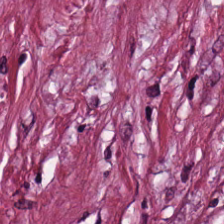H&E stain. This field is tumor-associated stroma.
